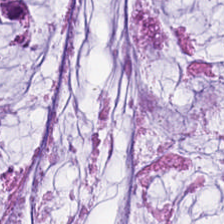Showing mucus.
